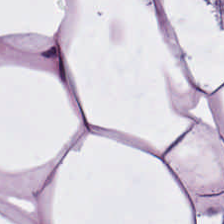Stain: H&E-stained tissue section.
Predominant tissue: fat tissue.
